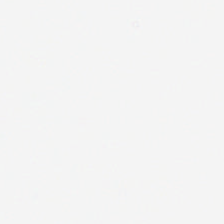Q: What is shown in this field?
A: The field shows no tissue.
